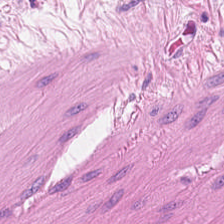H&E.
The classification is muscularis.
